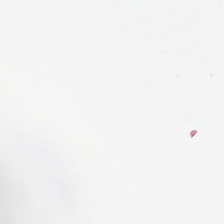Hematoxylin-and-eosin stained section — Impression → background (no tissue).
